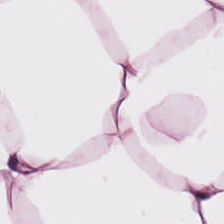H&E-stained tissue section; brightfield microscopy.
{"tissue_type": "adipose tissue"}
